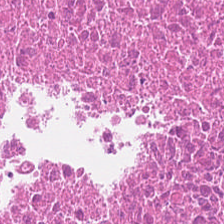Hematoxylin and eosin. The predominant tissue is necrotic debris.
